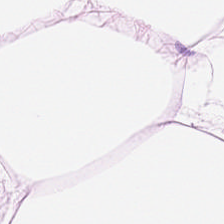The tissue is fat tissue.
